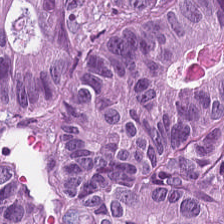This patch shows adenocarcinoma.
